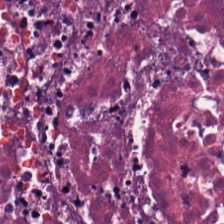H&E — {"tissue_type": "necrotic debris"}
